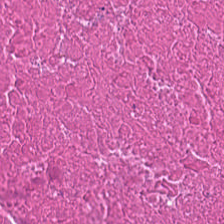The predominant tissue is debris.
